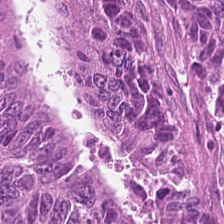H&E-stained tissue section. Tissue = adenocarcinoma.
